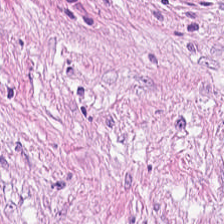Stain: hematoxylin and eosin.
Preparation: formalin-fixed paraffin-embedded section.
Resolution: 0.5 µm per pixel.
Tissue type: tumor stroma.
